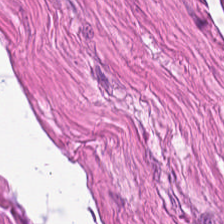Hematoxylin and eosin.
Q: What tissue is shown?
A: It is smooth-muscle tissue.
